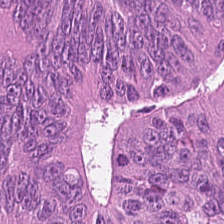H&E-stained tissue section.
Classification = malignant epithelium.
